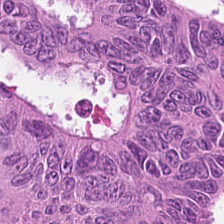Hematoxylin and eosin.
Showing tumor epithelium.
